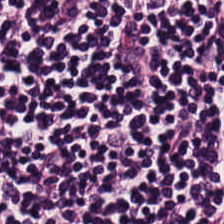224×224 px tile · H&E. Q: What tissue type is shown here?
A: Lymphocytic infiltrate.
